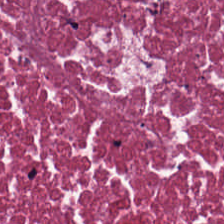Hematoxylin and eosin.
This field is necrotic debris.
